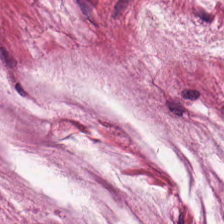0.5 microns per pixel; H&E-stained tissue section.
The tissue class is extracellular mucin.
